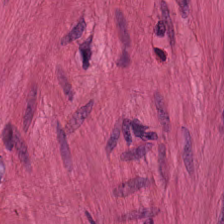H&E-stained tissue section showing smooth muscle.
